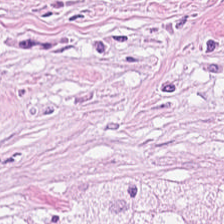0.5 µm/px; hematoxylin-and-eosin stained section.
Histology — tumor-associated stroma.
